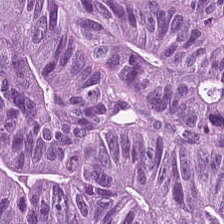Hematoxylin-and-eosin stained section. 0.5 µm per pixel. The tissue class is malignant epithelium.
